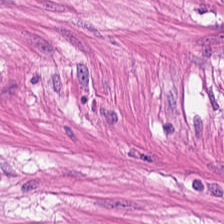Tissue class — smooth muscle.
